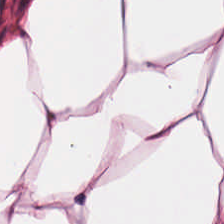The classification is adipocytes.
